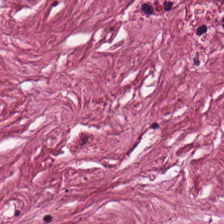H&E stain. Q: What is shown in this field?
A: Desmoplastic stroma.
